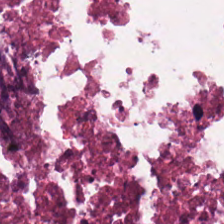Hematoxylin and eosin.
Histology → necrotic debris.
